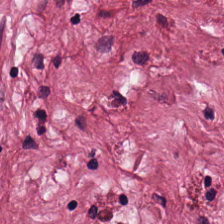FFPE · hematoxylin-and-eosin stained section — The tissue here is cancer-associated stroma.
